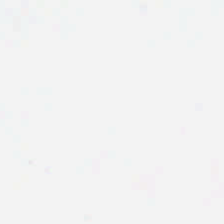FFPE tissue section. H&E stain. 0.5 µm/px. Content — background (no tissue).
